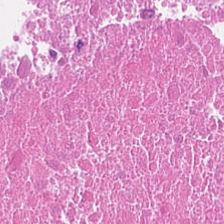Hematoxylin-and-eosin stained section — Predominantly necrotic debris.
